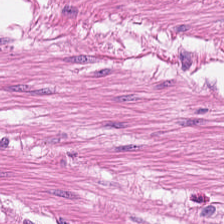H&E.
Predominant tissue: smooth-muscle tissue.
